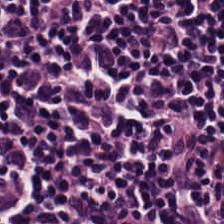224×224 px tile · H&E stain — This patch shows lymphocytes.
